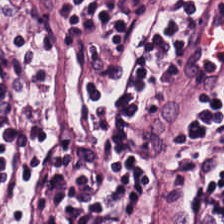The predominant tissue is lymphocytes.
